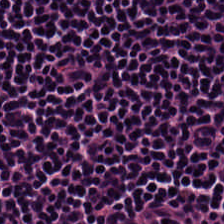H&E — Q: What is shown here?
A: This is lymphocyte aggregate.
